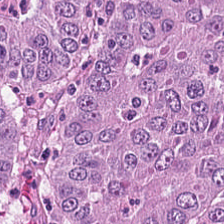Impression — malignant epithelium.
